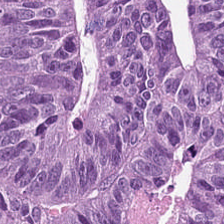H&E stain; formalin-fixed paraffin-embedded section. The predominant tissue is adenocarcinoma.
